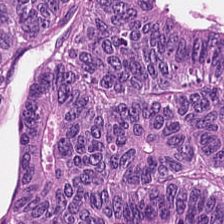H&E stain — Q: What does this patch show?
A: This is colorectal adenocarcinoma.
